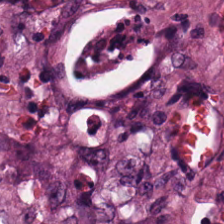Q: What is the predominant tissue type?
A: Desmoplastic stroma.
